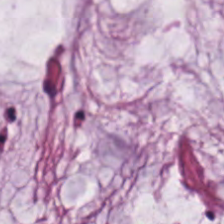H&E · 224×224 px patch. Predominantly extracellular mucin.
